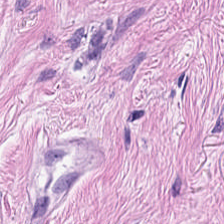Stain: H&E-stained tissue section.
Acquisition: brightfield microscopy.
Tissue class: cancer-associated stroma.
